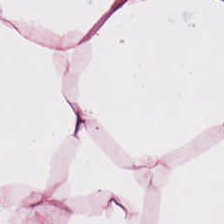H&E; whole-slide-image patch. Predominantly fat tissue.
